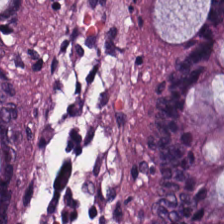Normal colonic mucosa.
